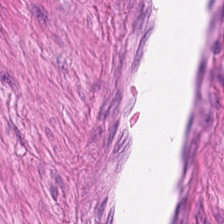H&E-stained tissue section — Showing smooth-muscle tissue.
